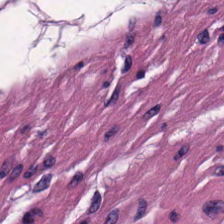Hematoxylin-and-eosin stained section. {"tissue_type": "smooth muscle"}
